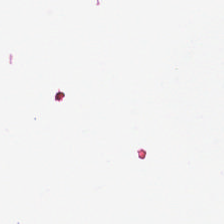H&E stain. Finding → background.
